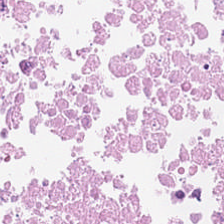Tissue type = cellular debris.
